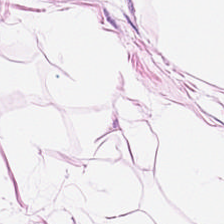H&E stain.
Finding → fat tissue.
